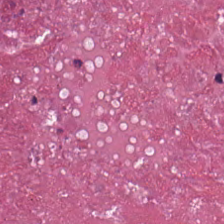Histology → cellular debris.
